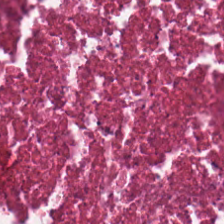Hematoxylin and eosin; 0.5 microns per pixel — Q: What type of tissue is this?
A: Necrotic debris.
